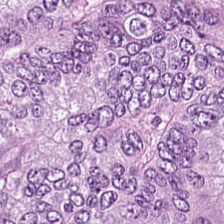H&E stain. Impression → tumor epithelium.
